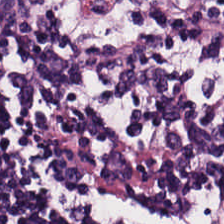H&E-stained tissue section. Predominantly lymphocyte aggregate.
